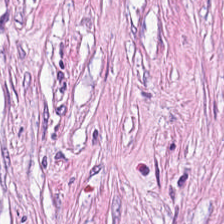H&E-stained tissue section. This field is tumor-associated stroma.
